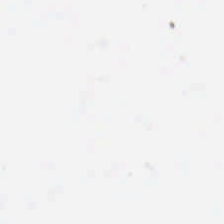Histology → background (no tissue).
